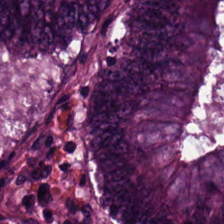Q: What type of tissue is this?
A: The field shows tumor epithelium.
